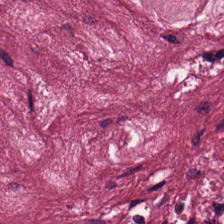Hematoxylin and eosin. Brightfield microscopy. 20× equivalent magnification — Tumor-associated stroma.
